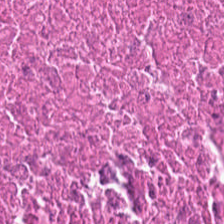Hematoxylin-and-eosin stained section. Whole-slide-image patch — Tissue = cellular debris.
